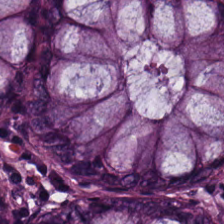The predominant tissue is normal colonic mucosa.
